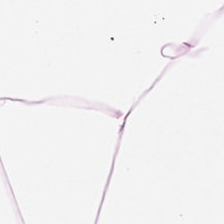H&E-stained tissue section. Adipose tissue.
